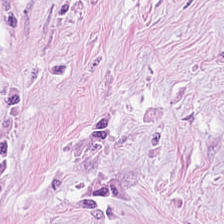Finding → cancer-associated stroma.
